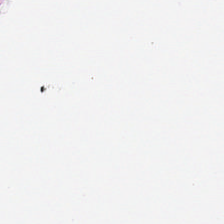Stain: H&E-stained tissue section.
Acquisition: brightfield.
Tile size: 224×224 pixel tile.
Content: no tissue.
